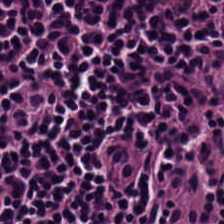Hematoxylin and eosin — Q: What is shown in this field?
A: It is lymphocytes.
